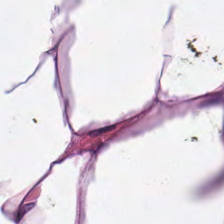This patch shows adipose.
